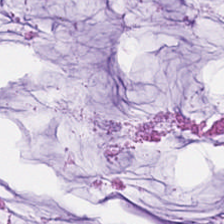Hematoxylin and eosin.
Impression → mucus.
